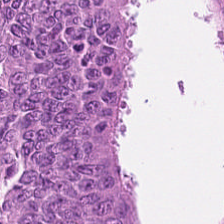Hematoxylin-and-eosin stained section.
The predominant tissue is colorectal adenocarcinoma.
